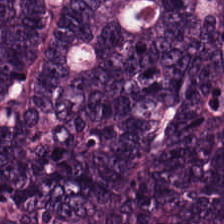This field is tumor epithelium.
